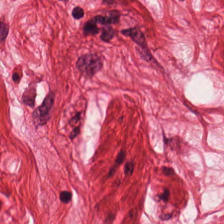Brightfield microscopy. 224×224 px tile. Hematoxylin and eosin.
Showing muscularis.
